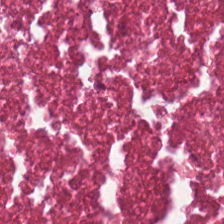H&E-stained tissue section.
Predominantly debris.
